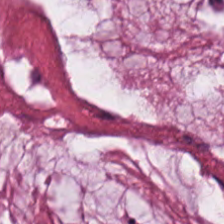Hematoxylin and eosin. Classification — extracellular mucin.
